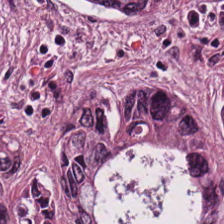20× equivalent magnification; hematoxylin-and-eosin stained section; 224×224 px tile — Predominant tissue: colorectal adenocarcinoma.
